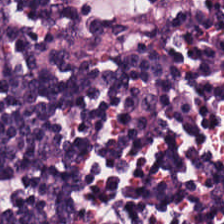H&E. FFPE tissue section — Showing lymphocytes.
